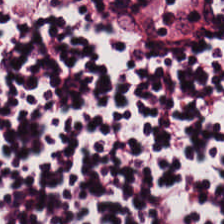Hematoxylin-and-eosin section: lymphocytic infiltrate.
